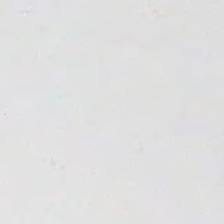Q: What is shown here?
A: The field shows no tissue.
